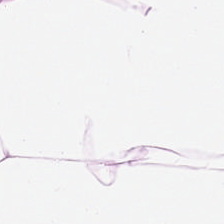0.5 µm per pixel. H&E. FFPE.
Q: What type of tissue is this?
A: The field shows adipose.
